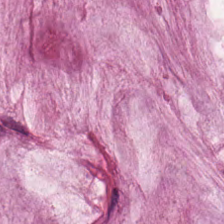Tissue type = mucin.
